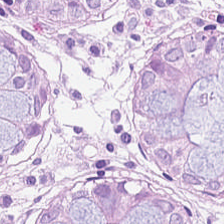Hematoxylin and eosin; brightfield microscopy.
Classification = normal colonic mucosa.
